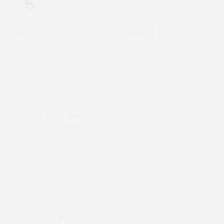H&E stain. 224×224 px patch.
Content = no tissue.
